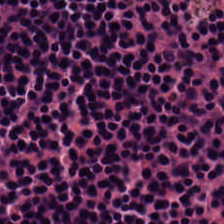0.5 µm/px. FFPE. Hematoxylin and eosin. Q: What tissue type is shown here?
A: It is lymphocyte aggregate.
